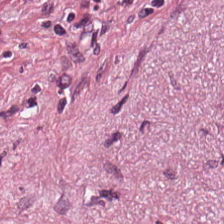Stain: H&E stain.
Acquisition: brightfield.
Resolution: 0.5 µm/px.
Tissue class: cancer-associated stroma.
